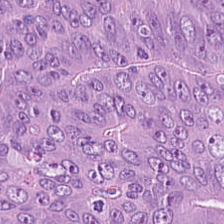Whole-slide-image patch. 0.5 µm per pixel. H&E. Predominant tissue — adenocarcinoma.
